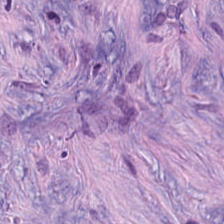Hematoxylin and eosin. This patch shows tumor-associated stroma.
